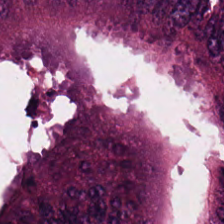H&E stain; 224×224 px patch; 0.5 µm per pixel.
Q: What does this patch show?
A: Adenocarcinoma.
